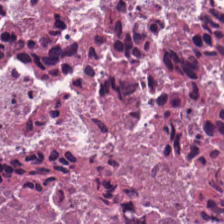Tissue type = cellular debris.
